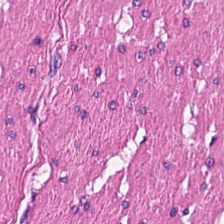H&E stain. Brightfield microscopy. This patch shows smooth-muscle tissue.
